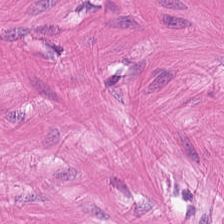Hematoxylin-and-eosin stained section; 224×224 pixel tile. Impression — smooth-muscle tissue.
